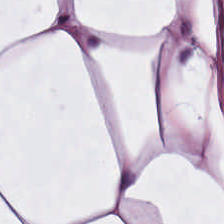H&E-stained tissue section — Showing adipose.
